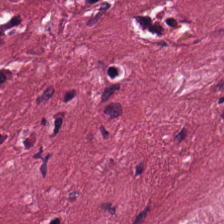H&E-stained section; the field shows cancer-associated stroma.
